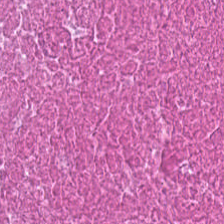20× equivalent magnification. H&E-stained tissue section — Q: Classify this patch.
A: The field shows cellular debris.
